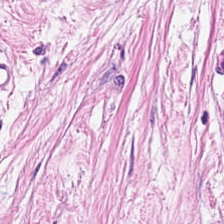The tissue type is tumor stroma.
